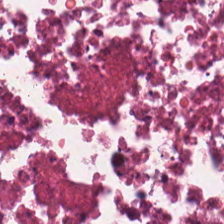Brightfield microscopy · H&E stain.
Tissue type: necrotic debris.
